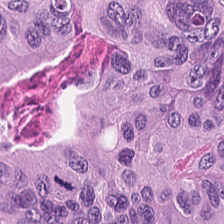Histology — tumor epithelium.
